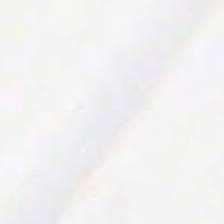Field content — background.
